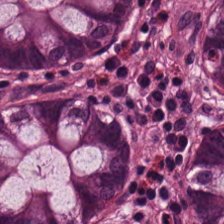Hematoxylin-and-eosin stained section.
Classification = benign colonic mucosa.
